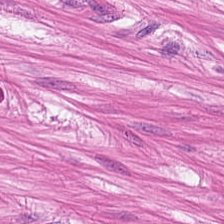Hematoxylin and eosin; 224×224 px patch; FFPE. The tissue here is smooth muscle.
